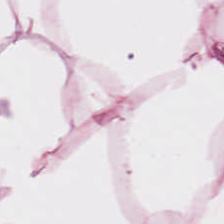H&E-stained tissue section. 0.5 µm per pixel. Q: What type of tissue is this?
A: Adipose tissue.
